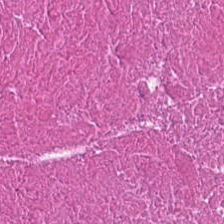{"tissue_type": "debris"}
